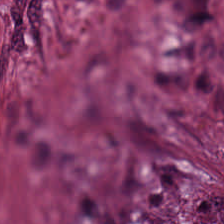224×224 pixel tile; H&E — Predominantly tumor-associated stroma.
